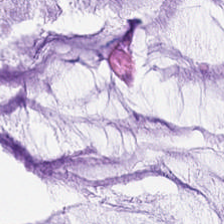Stain: H&E stain.
Classification: mucin.
